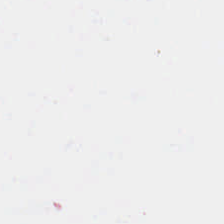Hematoxylin-and-eosin stained section. {"content": "no tissue"}
